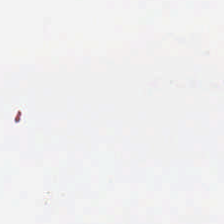Field content — empty background.
